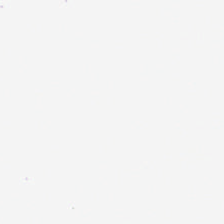H&E-stained tissue section.
Empty field — background (no tissue).
